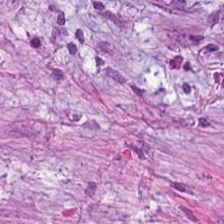H&E-stained tissue section.
Predominant tissue — tumor-associated stroma.
